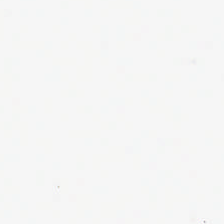Hematoxylin and eosin.
Q: What is shown here?
A: The field shows background (no tissue).
